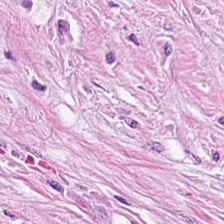This patch shows tumor stroma.
